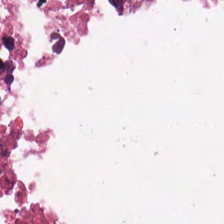H&E · WSI patch — Debris.
